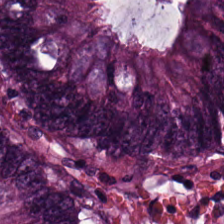Stain: hematoxylin and eosin.
Tissue: malignant epithelium.
